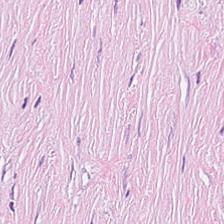This field is tumor stroma.
